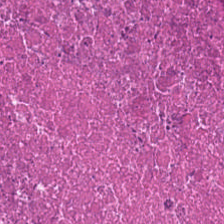Stain: H&E-stained tissue section.
Tissue type: debris.
